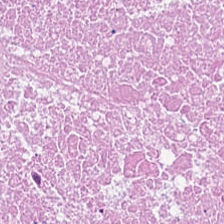0.5 µm/px. H&E.
This field is debris.
